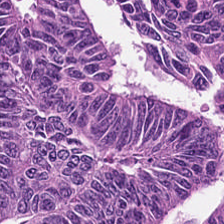Hematoxylin-and-eosin stained section — Tissue class: tumor epithelium.
